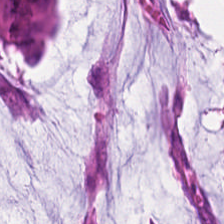H&E. Formalin-fixed paraffin-embedded section. 0.5 µm/px. The tissue here is malignant epithelium.
